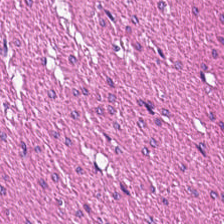H&E stain.
Q: Classify this patch.
A: It is smooth-muscle tissue.
